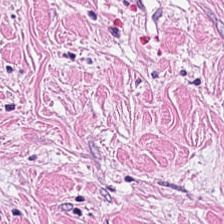20× equivalent magnification. Brightfield. H&E. Q: Identify the tissue.
A: It is tumor stroma.
